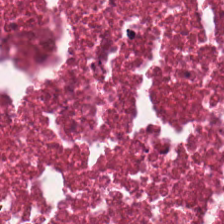H&E stain — Tissue class = cellular debris.
